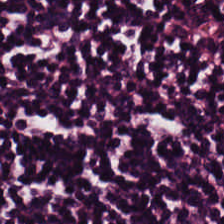Hematoxylin-and-eosin stained section · 224×224 px patch. Predominantly lymphocytic infiltrate.
